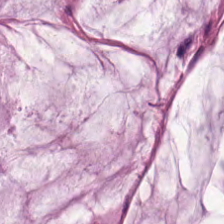Q: What is shown in this field?
A: Extracellular mucin.
